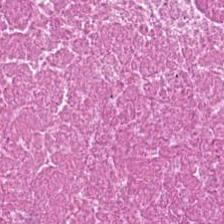Classification = cellular debris.
